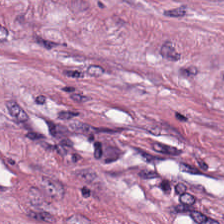H&E. The tissue here is desmoplastic stroma.
